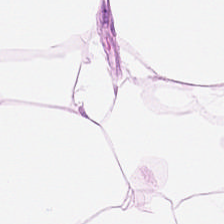Q: Classify this patch.
A: This is fat tissue.
